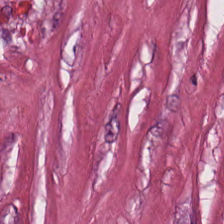The tissue here is tumor-associated stroma.
